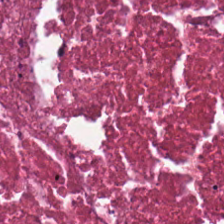H&E. The tissue here is debris.
